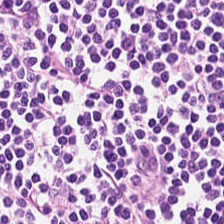H&E-stained tissue section · 224×224 pixel tile. Q: What is shown in this field?
A: Lymphocytic infiltrate.
